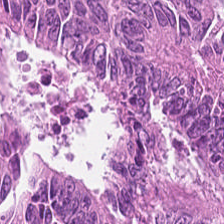20× equivalent magnification; H&E — Histology — malignant epithelium.
